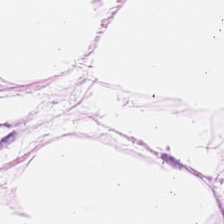Fat tissue.
